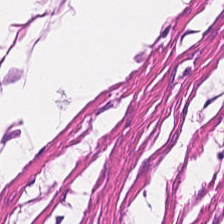Hematoxylin-and-eosin stained section. Brightfield.
Q: What is shown here?
A: It is smooth muscle.
